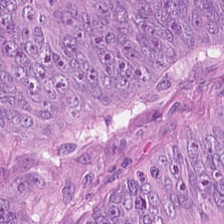0.5 microns per pixel. H&E-stained tissue section. Predominant tissue = colorectal adenocarcinoma epithelium.
